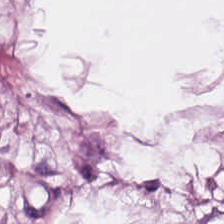This field is fat tissue.
